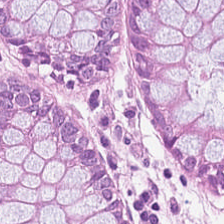224×224 pixel tile · H&E-stained tissue section · WSI patch.
Tissue — normal colon mucosa.
